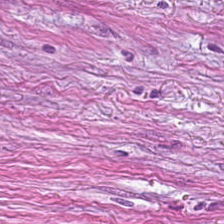Hematoxylin-and-eosin section: cancer-associated stroma.
